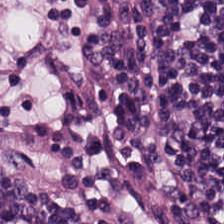This field is lymphocytic infiltrate.
